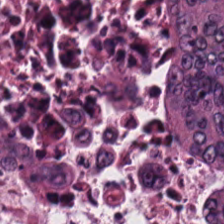WSI patch · hematoxylin-and-eosin stained section. The predominant tissue is tumor epithelium.
